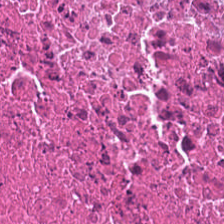0.5 microns per pixel; formalin-fixed paraffin-embedded section; hematoxylin-and-eosin stained section — Impression — debris.
